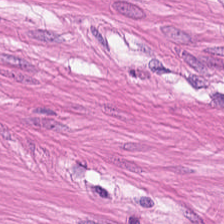H&E.
Tissue type = smooth-muscle tissue.
